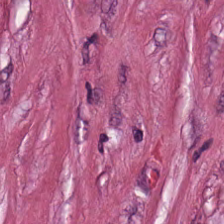Q: Identify the tissue.
A: The field shows tumor stroma.
